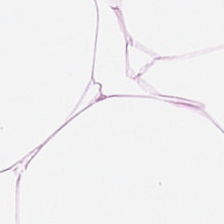Brightfield. Hematoxylin and eosin — Tissue class — adipose tissue.
